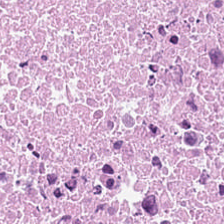H&E. 0.5 µm per pixel. This patch shows necrotic debris.
